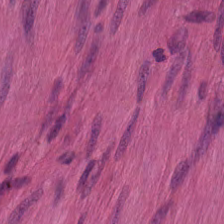Stain: H&E stain.
Predominant tissue: muscularis.
